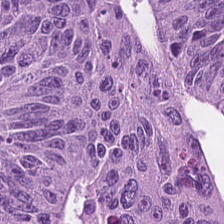H&E — The predominant tissue is colorectal adenocarcinoma epithelium.
